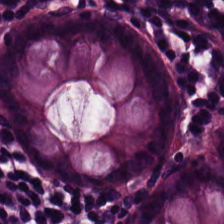224×224 pixel tile · H&E-stained tissue section · FFPE — Predominantly non-neoplastic colon mucosa.
